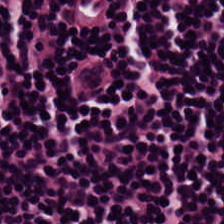Hematoxylin-and-eosin stained section. WSI patch — Histology — lymphocytic infiltrate.
